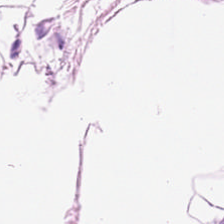Hematoxylin and eosin.
Predominantly fat tissue.
